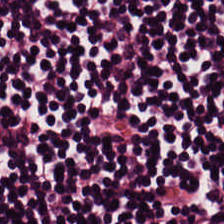Hematoxylin and eosin. Q: What type of tissue is this?
A: It is lymphocyte aggregate.
